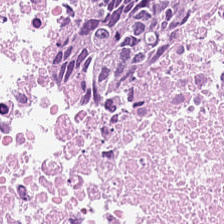H&E-stained tissue section.
This field is cellular debris.
